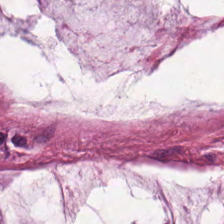H&E. Q: What does this patch show?
A: It is mucin.
